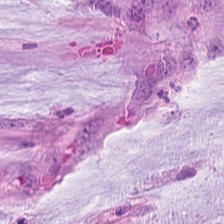H&E stain · 224×224 pixel tile — This patch shows mucus.
